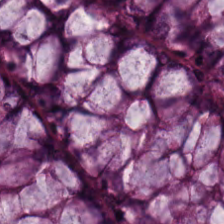224×224 px patch. 0.5 µm/px. Hematoxylin and eosin — Showing normal colonic mucosa.
